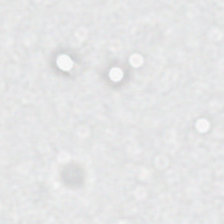Empty field — empty background.
